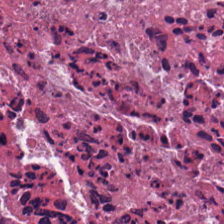H&E stain — Classification — debris.
